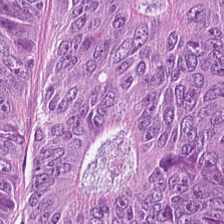Hematoxylin-and-eosin stained section. {"tissue_type": "adenocarcinoma"}
